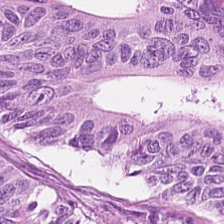Hematoxylin-and-eosin stained section. Tissue type: colorectal adenocarcinoma epithelium.
